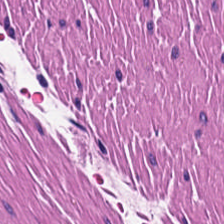H&E.
The tissue is muscularis.
